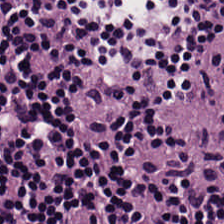Stain: H&E stain.
Resolution: 0.5 microns per pixel.
Tile size: 224×224 px patch.
Classification: lymphocytes.
